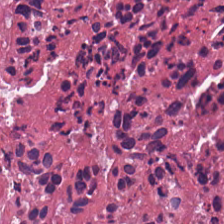H&E.
This patch shows cellular debris.
